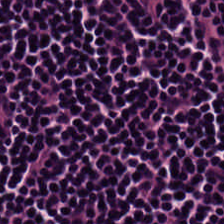H&E stain.
Showing lymphocytes.
